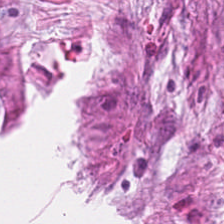Hematoxylin-and-eosin stained section. 0.5 µm/px. 224×224 pixel tile. {"tissue_type": "desmoplastic stroma"}
